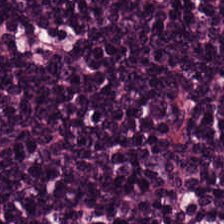H&E. Impression — lymphocyte aggregate.
